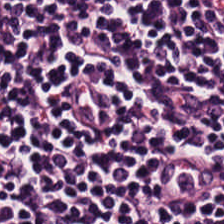The predominant tissue is lymphoid infiltrate.
